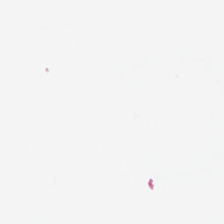Background — no tissue in this field.
